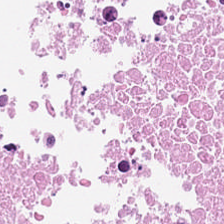Q: What is shown here?
A: Debris.
